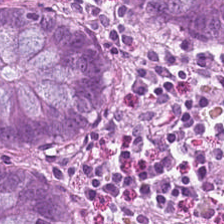Hematoxylin-and-eosin stained section. Histology — normal colon mucosa.
